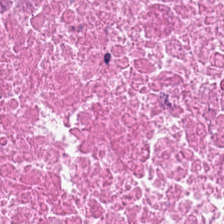The tissue type is cellular debris.
